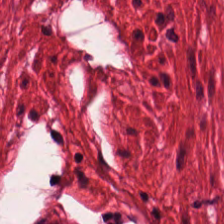FFPE. Hematoxylin-and-eosin stained section. The tissue class is smooth-muscle tissue.
